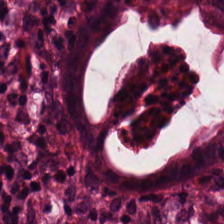Hematoxylin-and-eosin stained section; formalin-fixed paraffin-embedded section — The predominant tissue is normal colon mucosa.
